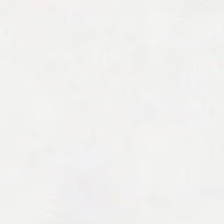224×224 px tile. Hematoxylin and eosin. 20× equivalent magnification.
Q: Classify this patch.
A: The field shows no tissue.
